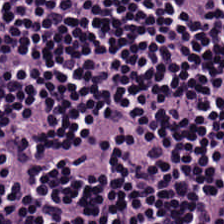224×224 px tile; H&E. Q: What is shown here?
A: Lymphocytes.
